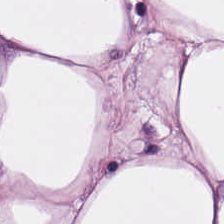Stain: hematoxylin and eosin.
Tissue class: fat tissue.
